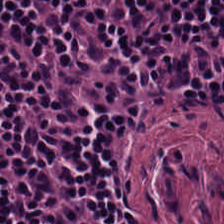Hematoxylin and eosin · whole-slide-image patch.
Finding → lymphoid infiltrate.
